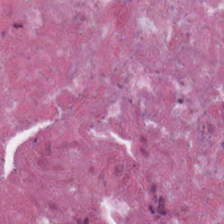Stain: hematoxylin-and-eosin stained section.
Preparation: FFPE.
Resolution: 20× equivalent magnification.
Tissue class: debris.
